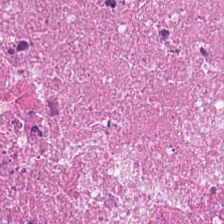Q: What type of tissue is this?
A: This is cellular debris.
